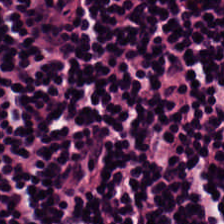The tissue is lymphocytes.
